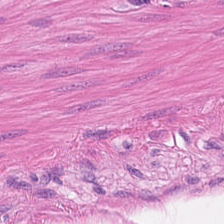Brightfield microscopy; hematoxylin-and-eosin stained section; 0.5 microns per pixel. Q: What is shown in this field?
A: The field shows smooth muscle.
